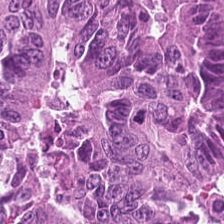Stain: hematoxylin and eosin.
Tissue type: colorectal adenocarcinoma.
